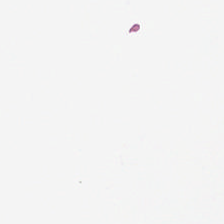Hematoxylin-and-eosin stained section · brightfield microscopy.
Content — empty background.
